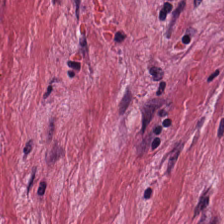Classification = cancer-associated stroma.
